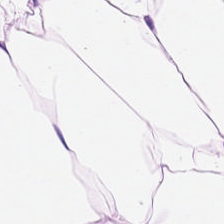FFPE tissue section · 224×224 px patch · hematoxylin-and-eosin stained section — Q: What type of tissue is this?
A: The field shows adipose.
